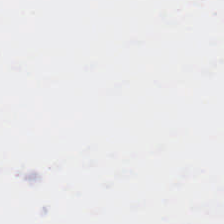Content: no tissue.
